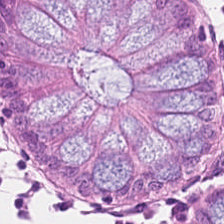H&E-stained tissue section; 224×224 px patch — Tissue — benign colonic mucosa.
